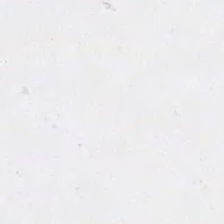0.5 µm/px. H&E stain. Brightfield microscopy. No tissue.
